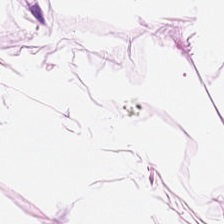Stain: H&E-stained tissue section.
Tissue class: adipocytes.
